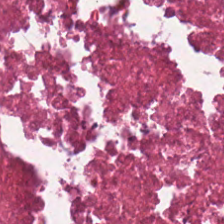Q: What is the predominant tissue type?
A: This is debris.
